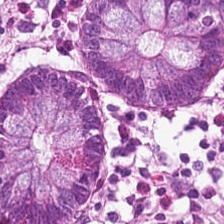H&E-stained tissue section — The predominant tissue is non-neoplastic colon mucosa.
